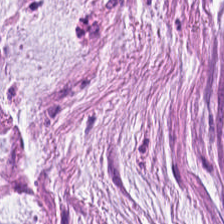H&E-stained tissue section.
Q: What is shown in this field?
A: The field shows mucus.
